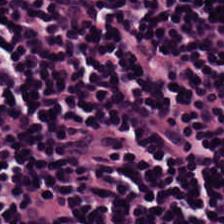Brightfield. H&E-stained tissue section. 224×224 pixel tile. {"tissue_type": "lymphocytes"}
